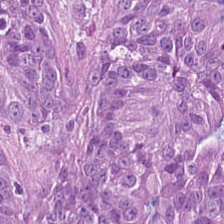This patch shows malignant epithelium.
